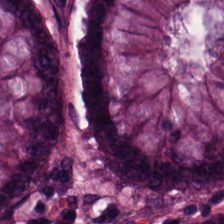H&E stain. Impression → benign colonic mucosa.
